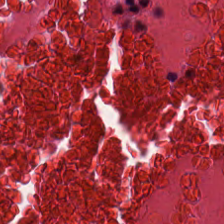H&E-stained tissue section — Tissue: necrotic debris.
